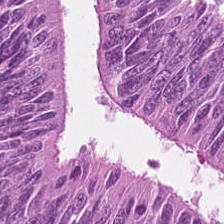Hematoxylin and eosin — This field is adenocarcinoma.
